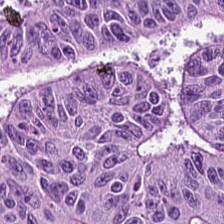Hematoxylin-and-eosin stained section — Colorectal adenocarcinoma epithelium.
